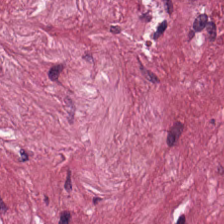Hematoxylin-and-eosin stained section.
Tissue — cancer-associated stroma.
